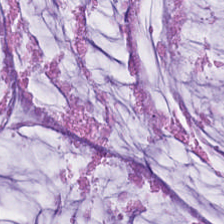H&E-stained tissue section showing mucus.
